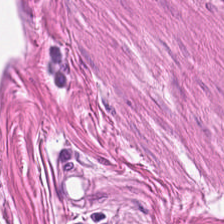Formalin-fixed paraffin-embedded section; hematoxylin and eosin.
{"tissue_type": "muscularis"}
